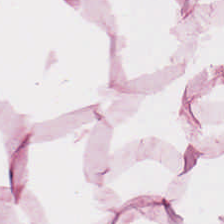Tissue type = adipose tissue.
